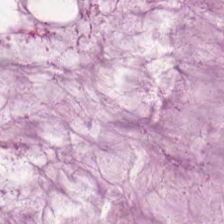H&E — Tissue type = mucus.
